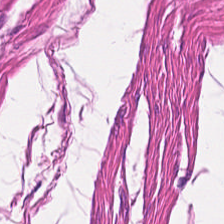H&E stain — Tissue class: smooth muscle.
